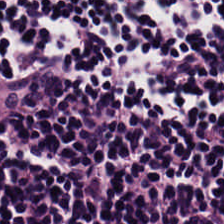0.5 microns per pixel. Hematoxylin-and-eosin stained section — Tissue type: lymphocyte aggregate.
